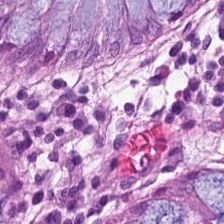Hematoxylin and eosin. 224×224 pixel tile — The tissue here is normal colon mucosa.
